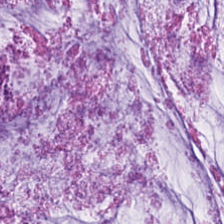H&E stain · brightfield.
This patch shows extracellular mucin.
